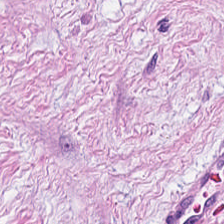H&E. Desmoplastic stroma.
